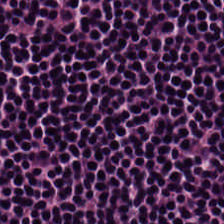H&E; formalin-fixed paraffin-embedded section. Classification: lymphocytic infiltrate.
